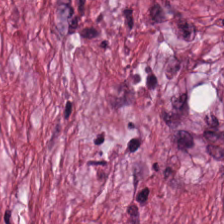Hematoxylin-and-eosin stained section.
The tissue here is tumor-associated stroma.
